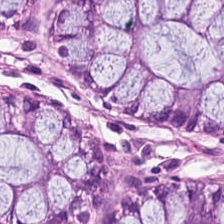Hematoxylin-and-eosin section: benign colonic mucosa.
